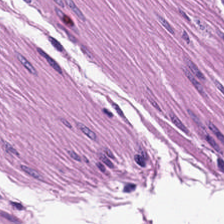H&E. FFPE tissue section. Brightfield. Impression — muscularis.
